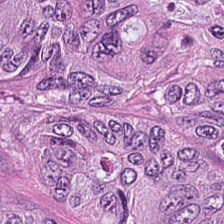The tissue here is malignant epithelium.
